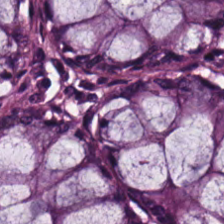H&E-stained tissue section; WSI patch; FFPE — Predominantly benign colonic mucosa.
